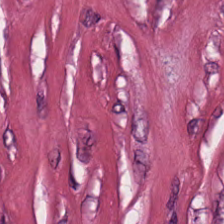224×224 px tile · 0.5 microns per pixel · hematoxylin and eosin. Q: What is the predominant tissue type?
A: Cancer-associated stroma.
